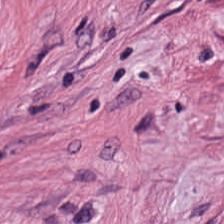Hematoxylin and eosin. Predominant tissue = tumor stroma.
